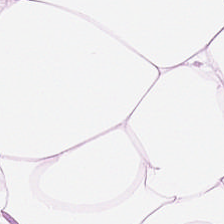H&E stain. Impression → adipose tissue.
